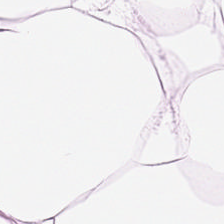Stain: hematoxylin and eosin.
Classification: fat tissue.
